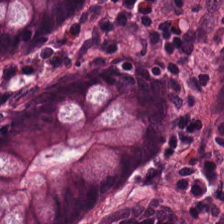FFPE tissue section · hematoxylin and eosin.
This field is normal colon mucosa.
